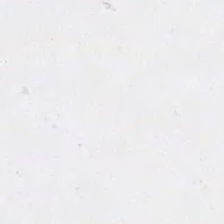H&E stain; brightfield microscopy. The classification is background.
